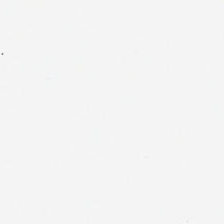H&E; brightfield — Q: Classify this patch.
A: It is background.
